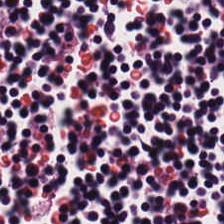Hematoxylin and eosin — Predominantly lymphoid infiltrate.
